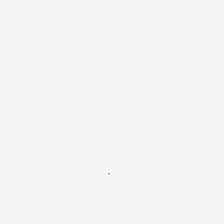H&E-stained tissue section; brightfield; formalin-fixed paraffin-embedded section — Impression — no tissue.
